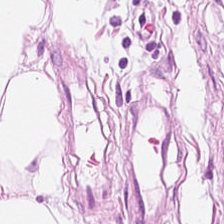Showing adipocytes.
